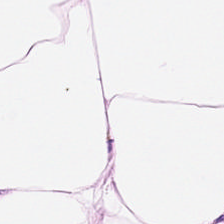224×224 px patch. H&E — Adipose tissue.
